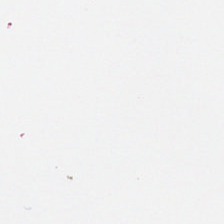The classification is background (no tissue).
